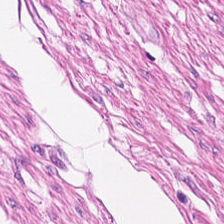H&E-stained tissue section — Predominantly muscularis.
